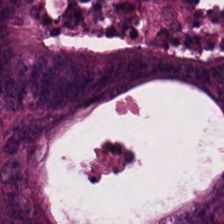224×224 pixel tile; formalin-fixed paraffin-embedded section; H&E — This patch shows malignant epithelium.
